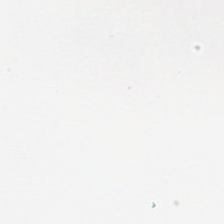H&E. {"content": "empty background"}
